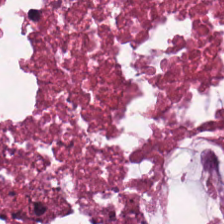H&E-stained tissue section. The tissue type is debris.
